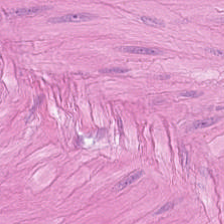Q: What tissue type is shown here?
A: Smooth muscle.
